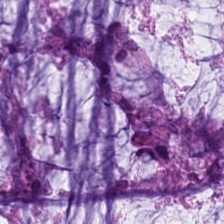Hematoxylin and eosin.
Predominant tissue = extracellular mucin.
